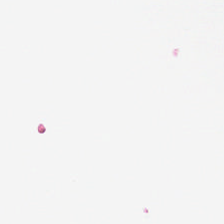No tissue.
